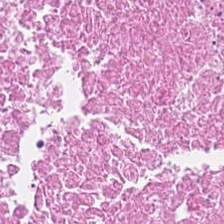H&E stain.
Classification: debris.
